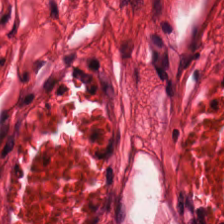Brightfield · 0.5 microns per pixel · hematoxylin-and-eosin stained section. {"tissue_type": "smooth-muscle tissue"}
